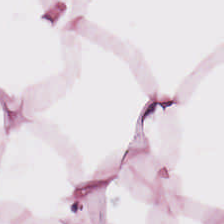Brightfield microscopy. Hematoxylin-and-eosin stained section. FFPE. This field is fat tissue.
